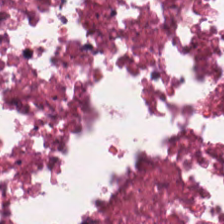0.5 microns per pixel; H&E-stained tissue section; formalin-fixed paraffin-embedded section.
Q: What does this patch show?
A: This is necrotic debris.
